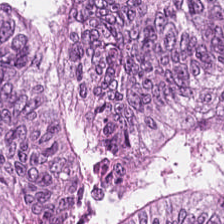This patch shows colorectal adenocarcinoma epithelium.
